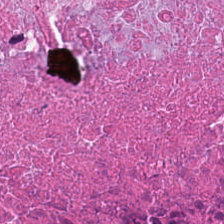Hematoxylin and eosin; FFPE. Predominant tissue — necrotic debris.
